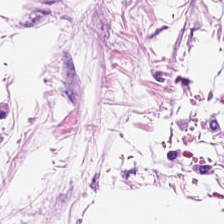Hematoxylin and eosin. Q: What tissue is shown?
A: The field shows adipocytes.
